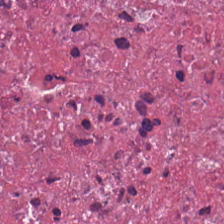H&E-stained tissue section. Tissue type = debris.
